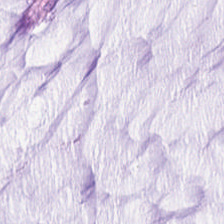H&E stain. Tissue type = mucus.
